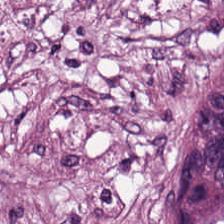Stain: hematoxylin and eosin.
Predominant tissue: tumor stroma.
